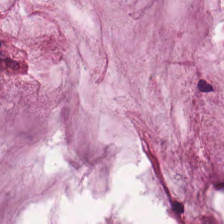H&E-stained tissue section. WSI patch — Q: Classify this patch.
A: This is mucus.
